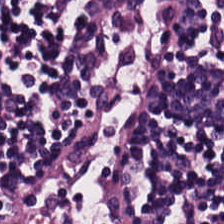H&E — This patch shows lymphocyte aggregate.
